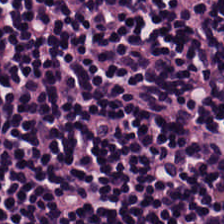Hematoxylin-and-eosin section: lymphoid infiltrate.
